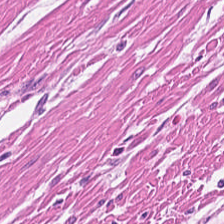H&E. Q: What type of tissue is this?
A: Smooth muscle.
